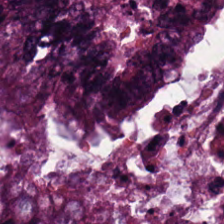Hematoxylin and eosin — Histology — colorectal adenocarcinoma epithelium.
